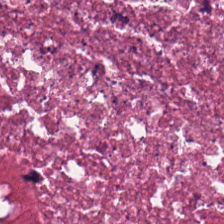H&E-stained tissue section. FFPE.
This patch shows necrotic debris.
